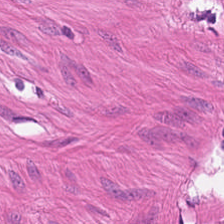Brightfield microscopy; H&E stain.
Q: What tissue type is shown here?
A: This is muscularis.
